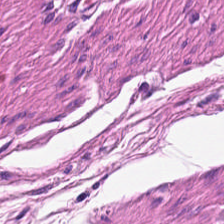Hematoxylin and eosin · 0.5 µm/px. Histology → smooth muscle.
